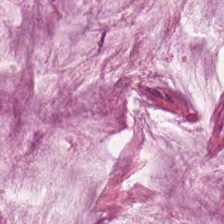H&E-stained tissue section — The predominant tissue is mucin.
